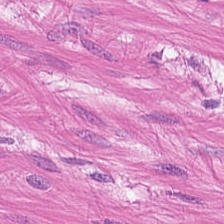H&E. This field is smooth muscle.
